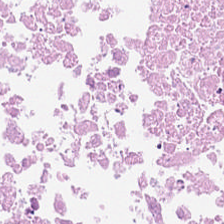Q: Classify this patch.
A: This is necrotic debris.
